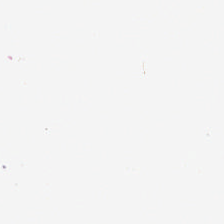Q: What is shown in this field?
A: This is background.
